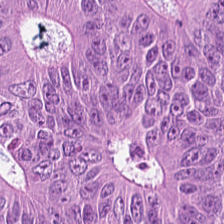H&E-stained tissue section.
Showing colorectal adenocarcinoma epithelium.
